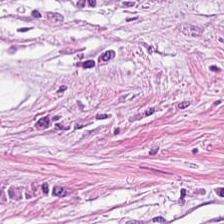Predominantly tumor stroma.
